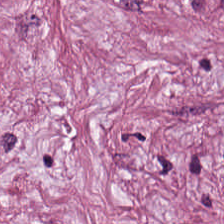H&E-stained tissue section; FFPE. {"tissue_type": "tumor-associated stroma"}
